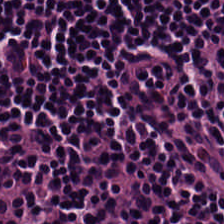Brightfield microscopy. 224×224 pixel tile. Hematoxylin-and-eosin stained section — The predominant tissue is lymphoid infiltrate.
